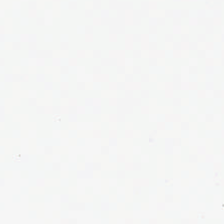{"content": "no tissue"}
